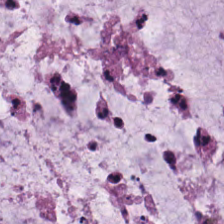Stain: hematoxylin and eosin.
Preparation: FFPE tissue section.
Resolution: 0.5 µm/px.
Tissue class: extracellular mucin.
